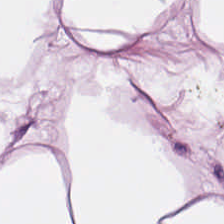H&E-stained tissue section — Q: What is the predominant tissue type?
A: This is adipose.
